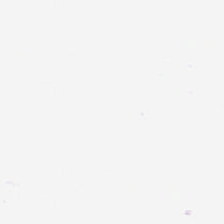H&E stain — Q: What does this patch show?
A: No tissue.
